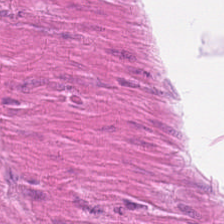H&E stain. Whole-slide-image patch. 224×224 px tile.
Predominant tissue — smooth-muscle tissue.
